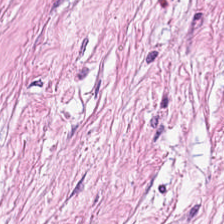Impression — cancer-associated stroma.
